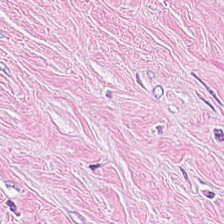Hematoxylin-and-eosin stained section — Predominantly desmoplastic stroma.
